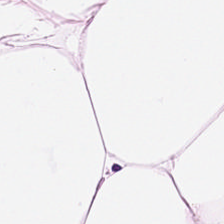H&E-stained section; the field shows adipose.
